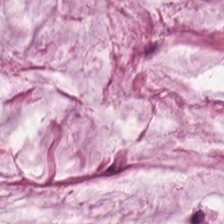WSI patch; H&E-stained tissue section — Tissue — mucus.
